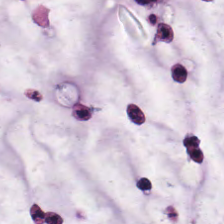224×224 px tile. H&E. Predominantly extracellular mucin.
